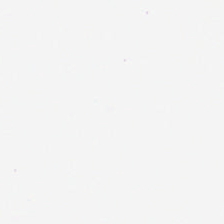Hematoxylin-and-eosin stained section.
This patch shows no tissue.
